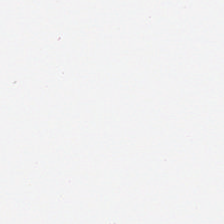Hematoxylin and eosin · brightfield microscopy.
Content: background.
